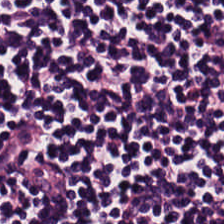0.5 µm/px; formalin-fixed paraffin-embedded section; H&E stain. {"tissue_type": "lymphocytes"}
